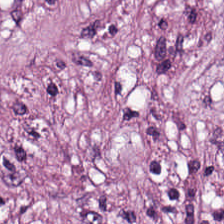Hematoxylin-and-eosin section: tumor stroma.
